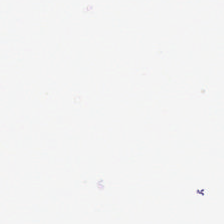Hematoxylin-and-eosin stained section. Q: What is shown here?
A: Empty background.
